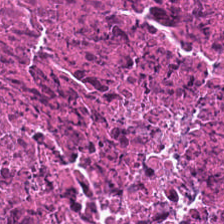Stain: H&E stain.
Acquisition: WSI patch.
Predominant tissue: debris.
